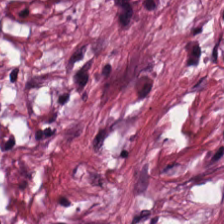Impression — tumor stroma.
